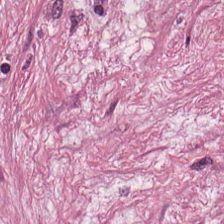The tissue type is cancer-associated stroma.
